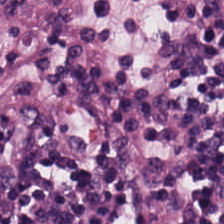20× equivalent magnification; H&E stain. {"tissue_type": "lymphocytes"}
